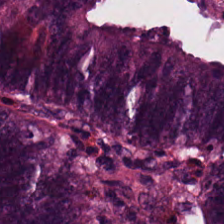Tissue class = colorectal adenocarcinoma.
